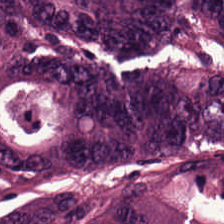This field is tumor epithelium.
